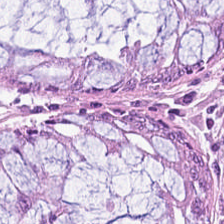0.5 µm/px · hematoxylin and eosin.
Q: What tissue is shown?
A: It is normal colon mucosa.
